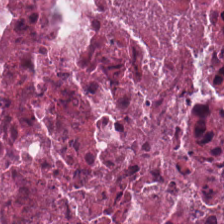H&E-stained tissue section; 224×224 pixel tile.
Tissue: necrotic debris.
